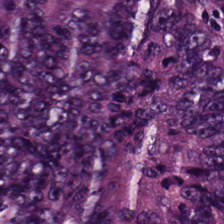Classification = colorectal adenocarcinoma.
